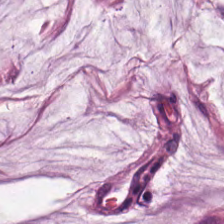Hematoxylin and eosin.
This field is mucus.
